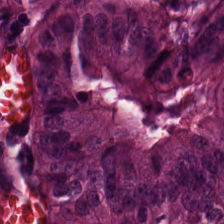H&E-stained tissue section. Impression → colorectal adenocarcinoma.
